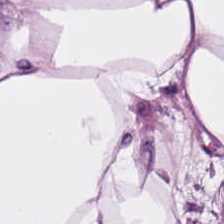H&E.
Histology — fat tissue.
